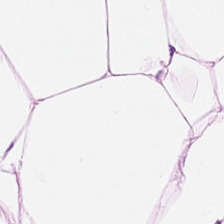Predominantly fat tissue.
